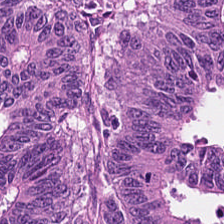H&E-stained tissue section — Showing tumor epithelium.
